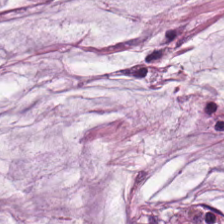Hematoxylin-and-eosin stained section — Tissue type — mucus.
